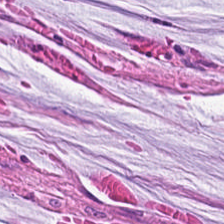Stain: H&E.
Tissue type: mucus.
